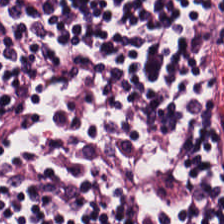WSI patch · H&E-stained tissue section.
The predominant tissue is lymphoid infiltrate.
